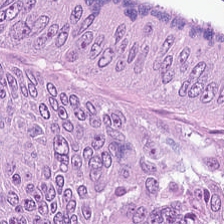Stain: hematoxylin and eosin.
Tissue type: malignant epithelium.
